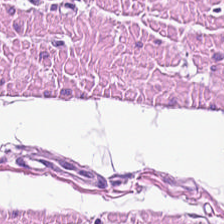224×224 px tile. Hematoxylin and eosin.
The classification is smooth-muscle tissue.
